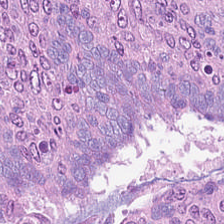224×224 pixel tile; FFPE tissue section; H&E-stained tissue section. Impression — adenocarcinoma.
